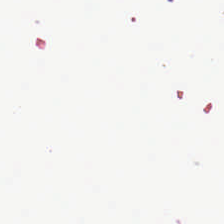Hematoxylin and eosin. Finding — empty background.
